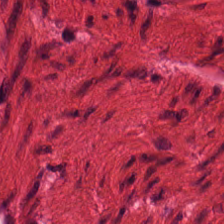Tissue type: smooth-muscle tissue.
